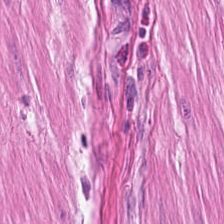0.5 µm/px; H&E-stained tissue section. This field is muscularis.
